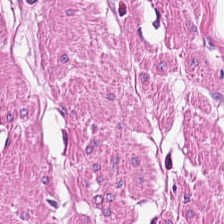Stain: hematoxylin-and-eosin stained section.
Tissue type: muscularis.
